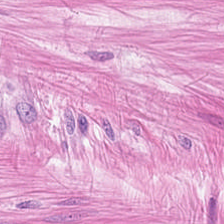H&E.
The predominant tissue is muscularis.
